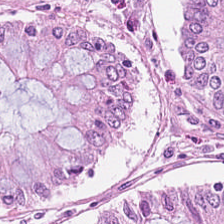Histology → normal colon mucosa.
